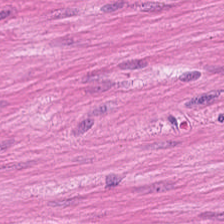Hematoxylin and eosin. 224×224 px tile — Q: What is the predominant tissue type?
A: Muscularis.
